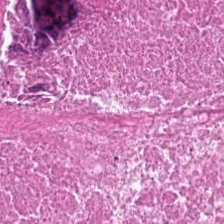{"tissue_type": "debris"}
